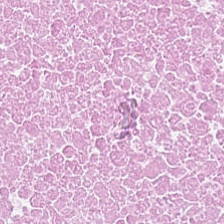The tissue is cellular debris.
